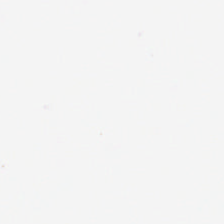H&E-stained tissue section.
Empty background.
